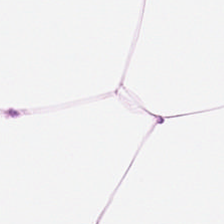FFPE tissue section; hematoxylin and eosin. Showing fat tissue.
